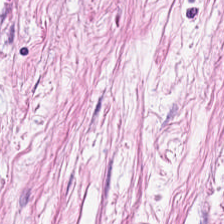Brightfield microscopy; FFPE tissue section; H&E. Desmoplastic stroma.
